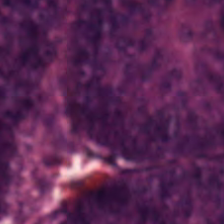H&E. Histology — tumor epithelium.
